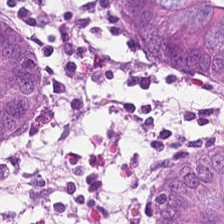Showing normal colon mucosa.
